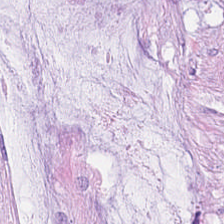Formalin-fixed paraffin-embedded section · H&E · brightfield microscopy.
Tissue = extracellular mucin.
